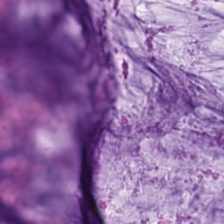Predominant tissue: extracellular mucin.
